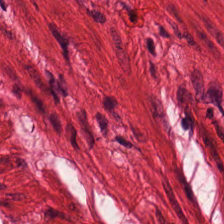H&E-stained tissue section — Predominant tissue = smooth-muscle tissue.
